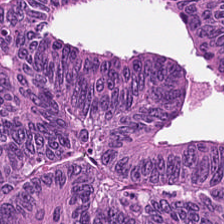Q: What is shown here?
A: This is colorectal adenocarcinoma epithelium.
